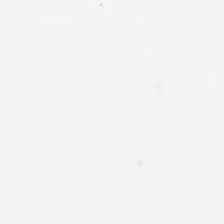Classification: background.
